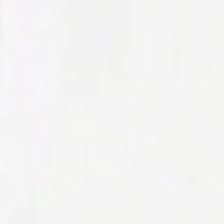Q: What is shown here?
A: Background.
